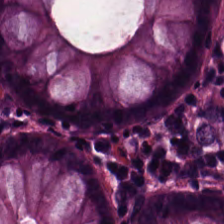Q: What is shown here?
A: The field shows benign colonic mucosa.
